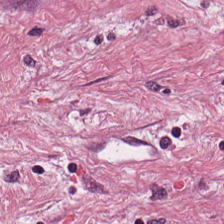H&E — This patch shows tumor stroma.
